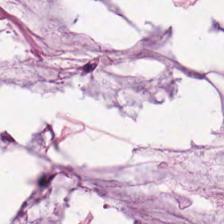Hematoxylin and eosin · brightfield microscopy · 224×224 px patch. Q: What is shown here?
A: It is mucus.
